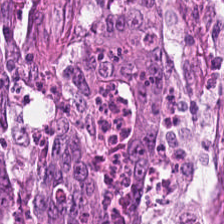Formalin-fixed paraffin-embedded section; H&E-stained tissue section; 224×224 px tile. Tissue = malignant epithelium.
